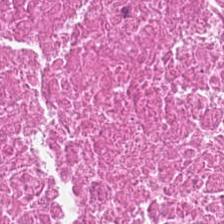224×224 px tile; hematoxylin and eosin — Predominant tissue — debris.
